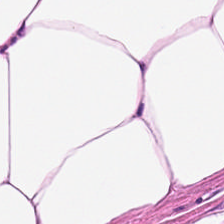H&E · FFPE tissue section.
The tissue class is adipose.
